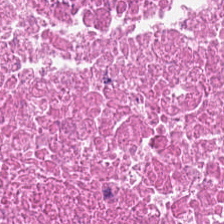Brightfield · 0.5 microns per pixel · hematoxylin and eosin — Tissue class — debris.
